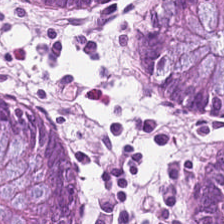H&E-stained tissue section. Brightfield. Tissue = normal colon mucosa.
